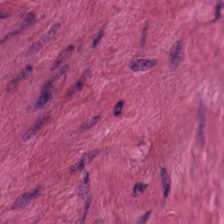Hematoxylin and eosin.
The tissue here is smooth muscle.
